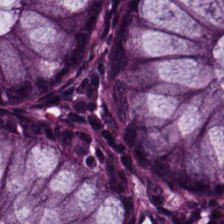20× equivalent magnification; whole-slide-image patch; H&E stain. This field is normal colonic mucosa.
